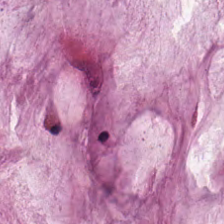Tissue class = extracellular mucin.
